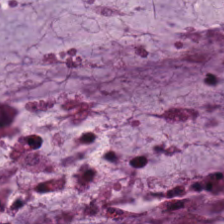Finding → mucin.
